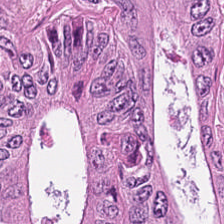Hematoxylin and eosin. Colorectal adenocarcinoma.
